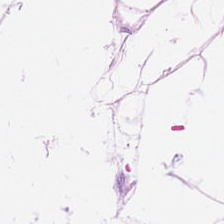Classification — fat tissue.
